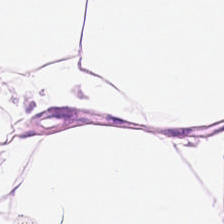Formalin-fixed paraffin-embedded section; 0.5 microns per pixel; H&E stain — Showing fat tissue.
